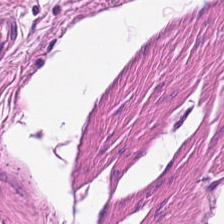H&E stain; whole-slide-image patch.
Histology → smooth muscle.
